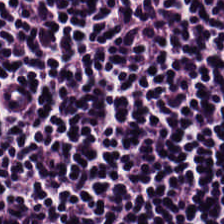H&E-stained section; the field shows lymphocytes.
